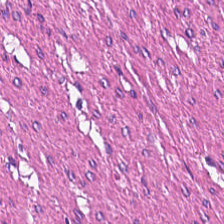Stain: H&E.
Tissue class: muscularis.
